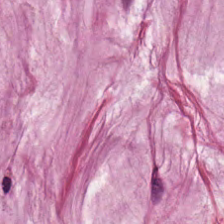Q: What tissue type is shown here?
A: It is mucin.
